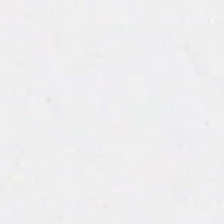Field content: no tissue.
